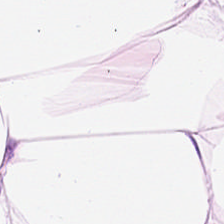Hematoxylin-and-eosin stained section. The tissue type is fat tissue.
